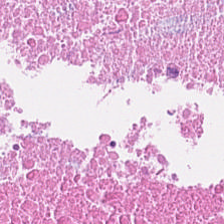Hematoxylin and eosin · 20× equivalent magnification — Predominant tissue: debris.
